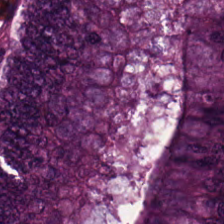Impression — colorectal adenocarcinoma.
